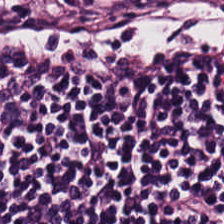The tissue here is lymphocytic infiltrate.
